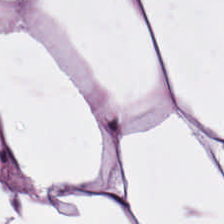H&E stain — Showing adipose.
